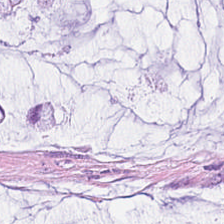Stain: H&E.
Tissue: mucin.
